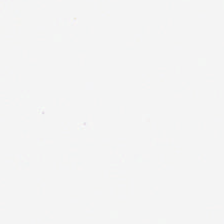Content: empty background.
